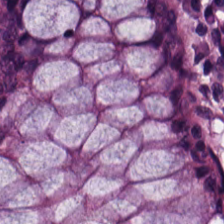Hematoxylin-and-eosin stained section. {"tissue_type": "normal colonic mucosa"}
